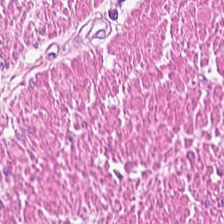H&E stain — Tissue: smooth-muscle tissue.
